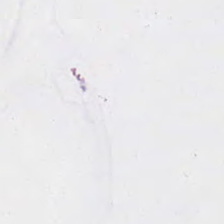224×224 pixel tile; H&E-stained tissue section — Q: What does this patch show?
A: The field shows no tissue.
